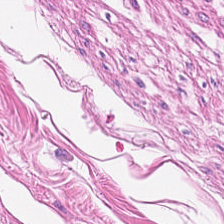Hematoxylin-and-eosin stained section.
{"tissue_type": "muscularis"}
